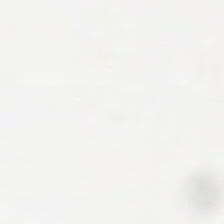Hematoxylin-and-eosin stained section. This field is background (no tissue).
